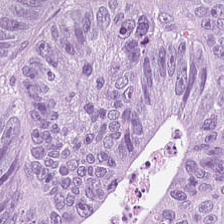WSI patch. Hematoxylin and eosin — Q: What is the predominant tissue type?
A: This is tumor epithelium.
